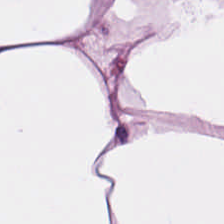Histology — adipocytes.
